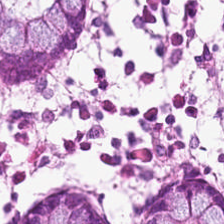Hematoxylin-and-eosin stained section — Histology — benign colonic mucosa.
